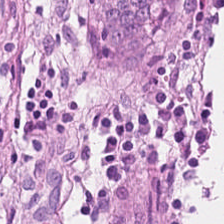Classification — non-neoplastic colon mucosa.
